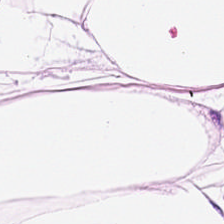WSI patch. Hematoxylin-and-eosin stained section.
Q: What tissue is shown?
A: Adipose.
